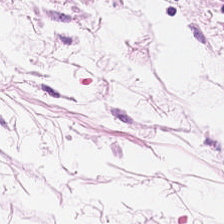H&E-stained tissue section — This field is fat tissue.
